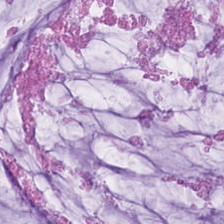Q: What does this patch show?
A: The field shows mucus.
